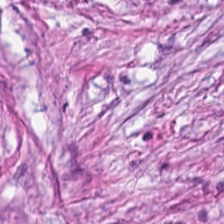H&E-stained tissue section · formalin-fixed paraffin-embedded section · 0.5 µm per pixel.
Finding — desmoplastic stroma.
